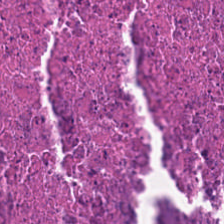Tissue: debris.
